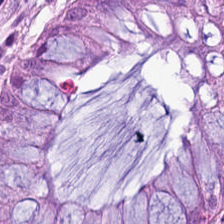H&E.
Non-neoplastic colon mucosa.
